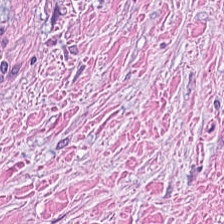Stain: hematoxylin and eosin.
Preparation: FFPE.
Classification: tumor-associated stroma.
